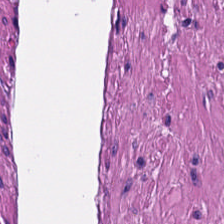Hematoxylin and eosin — This patch shows muscularis.
